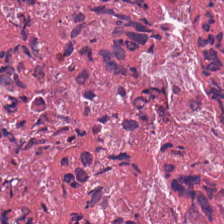H&E-stained tissue section. Predominant tissue — cellular debris.
